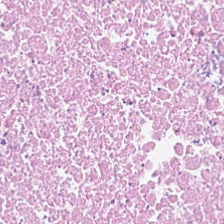Hematoxylin-and-eosin stained section — Q: Identify the tissue.
A: Necrotic debris.
